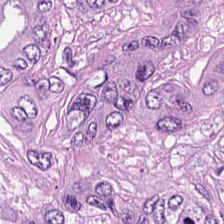Hematoxylin-and-eosin stained section.
This patch shows malignant epithelium.
